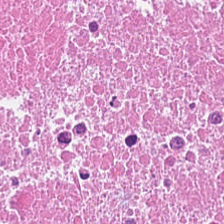H&E-stained tissue section — {"tissue_type": "debris"}
